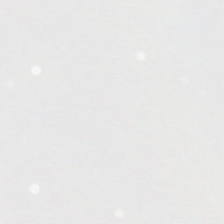0.5 µm per pixel. Hematoxylin and eosin — Field content = no tissue.
